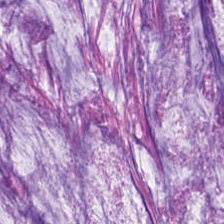Stain: hematoxylin and eosin.
Resolution: 0.5 microns per pixel.
Tissue type: extracellular mucin.
